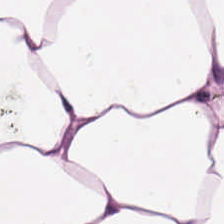FFPE tissue section; H&E stain; WSI patch — This field is adipose.
